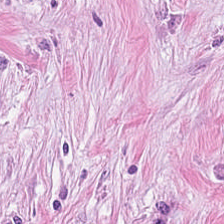H&E-stained tissue section; 0.5 µm/px; 224×224 px tile — The predominant tissue is cancer-associated stroma.
